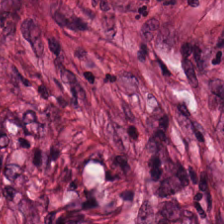H&E-stained tissue section. The predominant tissue is tumor stroma.
